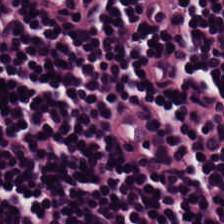0.5 µm per pixel. H&E stain. FFPE tissue section — Histology — lymphocytes.
